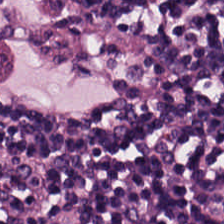224×224 pixel tile; hematoxylin and eosin — Q: What does this patch show?
A: Lymphoid infiltrate.
